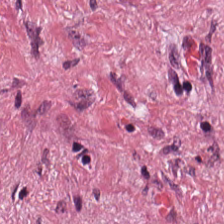Finding → tumor stroma.
